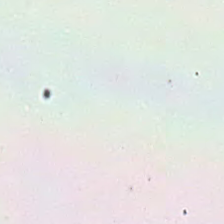224×224 px patch; hematoxylin-and-eosin stained section.
Field content = background (no tissue).
